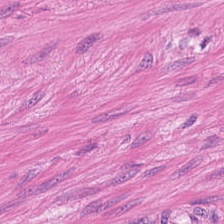Stain: hematoxylin-and-eosin stained section.
Tissue: smooth muscle.
